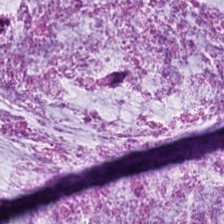224×224 pixel tile. Hematoxylin-and-eosin stained section.
The tissue class is mucin.
